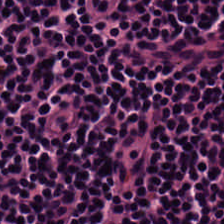H&E. Predominant tissue — lymphoid infiltrate.
